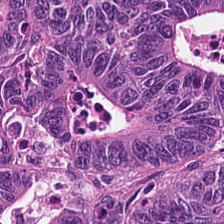H&E-stained tissue section.
This patch shows adenocarcinoma.
